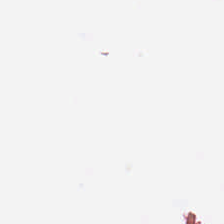Hematoxylin-and-eosin stained section — Background — no tissue in this field.
